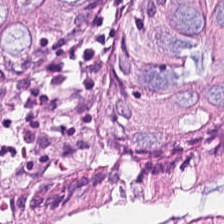224×224 px patch. H&E. Q: What is the predominant tissue type?
A: This is benign colonic mucosa.
